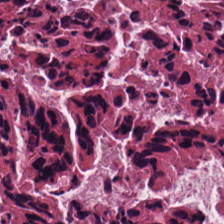Hematoxylin-and-eosin stained section — Q: What is the predominant tissue type?
A: This is debris.
